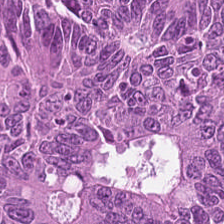H&E stain.
{"tissue_type": "malignant epithelium"}
